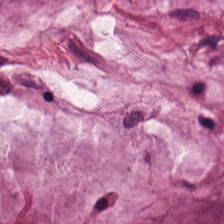20× equivalent magnification. Hematoxylin-and-eosin stained section.
Tissue type = extracellular mucin.
